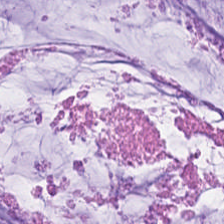Stain: H&E-stained tissue section.
Tissue: mucin.
